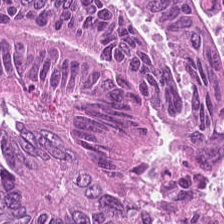Stain: H&E.
Resolution: 20× equivalent magnification.
Acquisition: brightfield.
Tissue: malignant epithelium.
